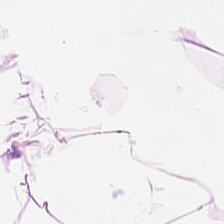This patch shows adipose.
